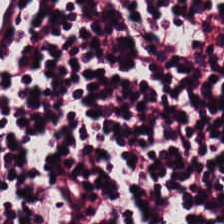Hematoxylin and eosin.
Tissue — lymphoid infiltrate.
